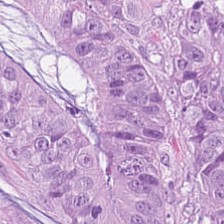H&E stain. Histology — adenocarcinoma.
